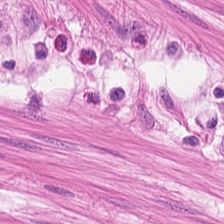This patch shows smooth muscle.
